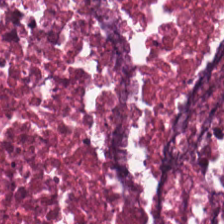H&E-stained tissue section.
This field is debris.
